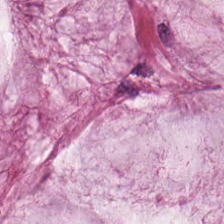Stain: hematoxylin-and-eosin stained section.
Predominant tissue: extracellular mucin.
